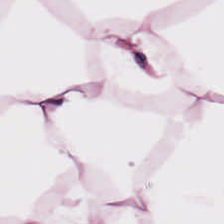Q: What is shown here?
A: This is fat tissue.
